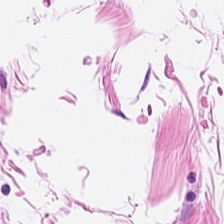H&E-stained tissue section; 0.5 µm/px. Q: Identify the tissue.
A: The field shows adipose.
